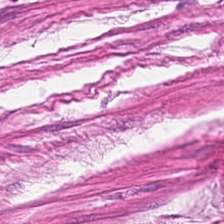Tissue: muscularis.
